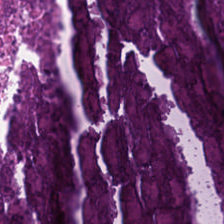Brightfield · 224×224 px patch · H&E-stained tissue section — Classification — cellular debris.
